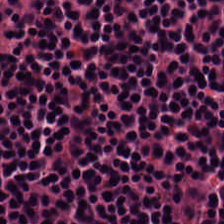The tissue here is lymphocytic infiltrate.
